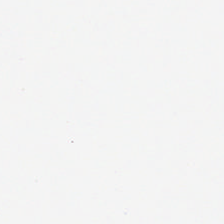0.5 microns per pixel · H&E. Field content = background (no tissue).
